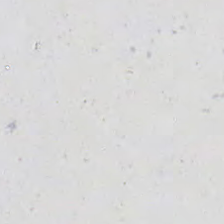H&E stain. 20× equivalent magnification. 224×224 pixel tile.
Content: background.
